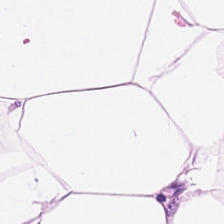Impression → adipose tissue.
